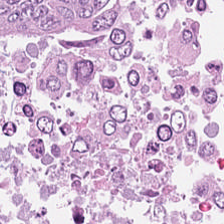224×224 pixel tile · H&E stain — This patch shows colorectal adenocarcinoma.
